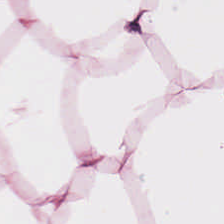Hematoxylin-and-eosin stained section. Showing adipose.
